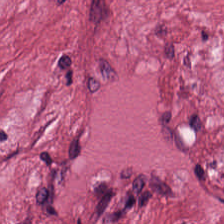Stain: H&E.
Tile size: 224×224 px patch.
Resolution: 0.5 µm per pixel.
Tissue: tumor-associated stroma.
